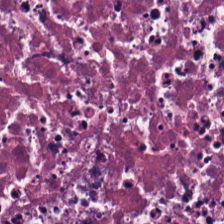H&E-stained tissue section — Finding → debris.
